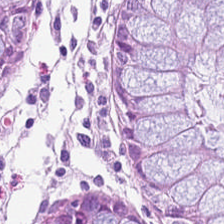Hematoxylin-and-eosin stained section.
The tissue here is normal colonic mucosa.
